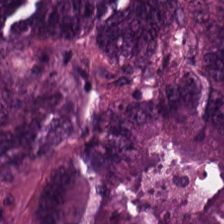Stain: hematoxylin and eosin.
Tile size: 224×224 px tile.
Tissue: malignant epithelium.
